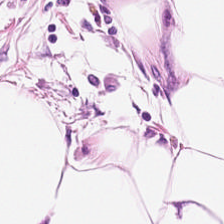Histology → adipose.
